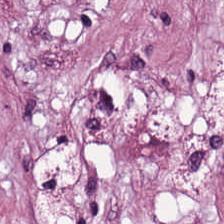Hematoxylin and eosin — The predominant tissue is desmoplastic stroma.
